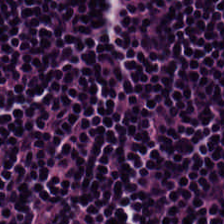224×224 px patch. FFPE. H&E stain.
Q: What does this patch show?
A: The field shows lymphocytes.
